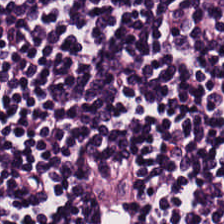Impression → lymphoid infiltrate.
